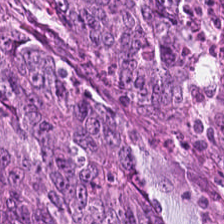Classification = colorectal adenocarcinoma.
